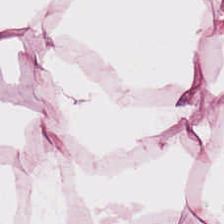Finding — adipose tissue.
